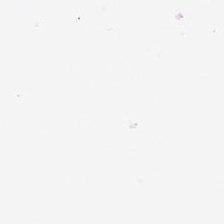Hematoxylin-and-eosin stained section. Background — no tissue in this field.
